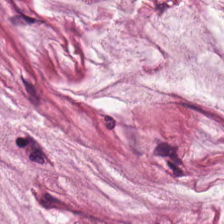Hematoxylin and eosin. Q: What is the predominant tissue type?
A: The field shows mucus.
